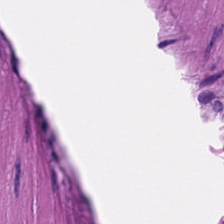H&E — Predominantly muscularis.
